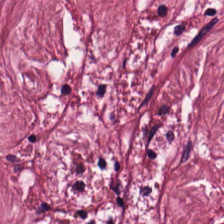Hematoxylin-and-eosin stained section · 224×224 px tile · formalin-fixed paraffin-embedded section.
Cancer-associated stroma.
